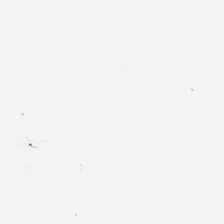Stain: H&E-stained tissue section.
Preparation: FFPE tissue section.
Content: background.
